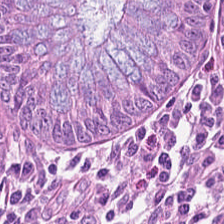H&E-stained tissue section. WSI patch. 224×224 pixel tile. Tissue type: normal colon mucosa.
